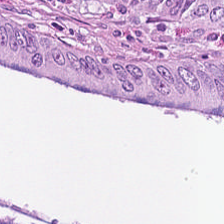Stain: H&E stain.
Tissue type: tumor epithelium.
